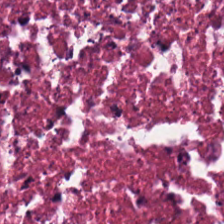The tissue here is debris.
